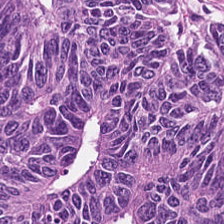Hematoxylin and eosin · brightfield microscopy.
Q: What does this patch show?
A: Colorectal adenocarcinoma epithelium.
